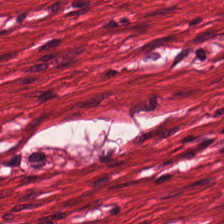H&E-stained tissue section — The tissue here is smooth muscle.
